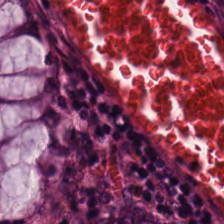Hematoxylin and eosin — Tissue type = normal colon mucosa.
